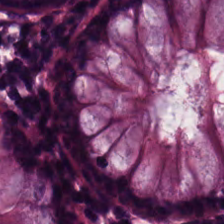The predominant tissue is normal colonic mucosa.
